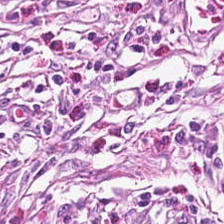{"tissue_type": "tumor-associated stroma"}
